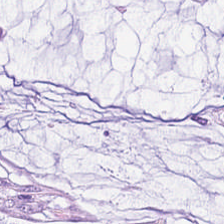Formalin-fixed paraffin-embedded section; hematoxylin and eosin; whole-slide-image patch. Tissue = extracellular mucin.
